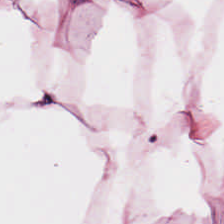H&E; 0.5 µm/px; 224×224 px patch.
Impression — fat tissue.
